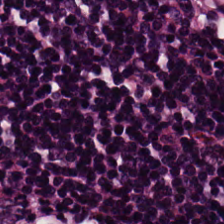Hematoxylin-and-eosin stained section. Predominantly lymphocyte aggregate.
